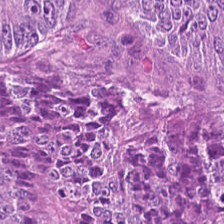H&E-stained tissue section.
{"tissue_type": "colorectal adenocarcinoma epithelium"}
